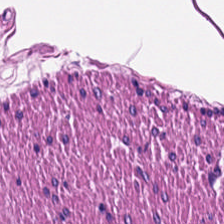Muscularis.
